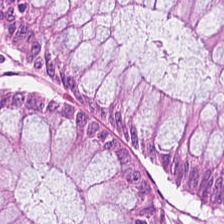0.5 µm per pixel · H&E — This field is normal colonic mucosa.
